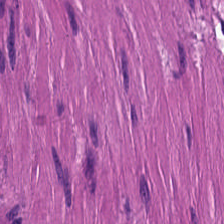Formalin-fixed paraffin-embedded section; hematoxylin and eosin. This field is muscularis.
